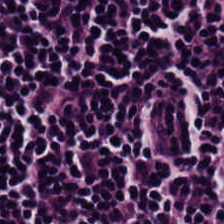Hematoxylin-and-eosin stained section; whole-slide-image patch.
Predominant tissue: lymphocytic infiltrate.
